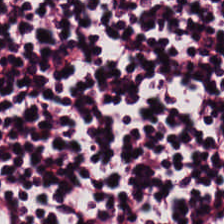Q: What is shown in this field?
A: Lymphoid infiltrate.
